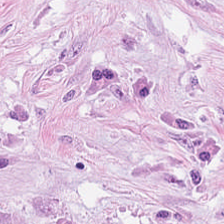H&E patch showing desmoplastic stroma.
